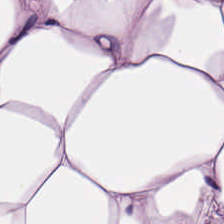H&E. Showing adipose tissue.
